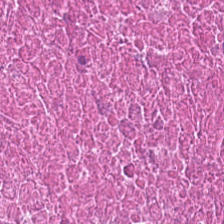224×224 px tile. Hematoxylin and eosin — Finding → necrotic debris.
